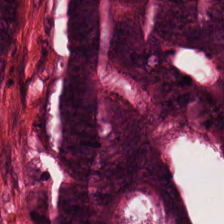This patch shows colorectal adenocarcinoma.
